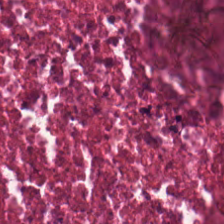H&E; 224×224 px patch.
The tissue here is cellular debris.
